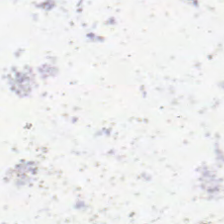Stain: hematoxylin and eosin.
Resolution: 20× equivalent magnification.
Field content: empty background.
